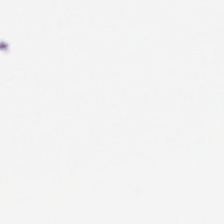Impression → background.
